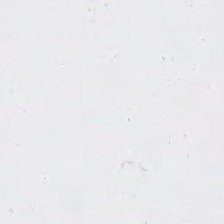Stain: hematoxylin and eosin.
Content: empty background.
